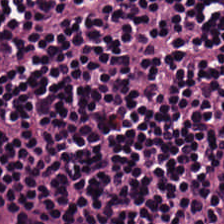H&E stain · 0.5 µm/px. Classification: lymphocytes.
